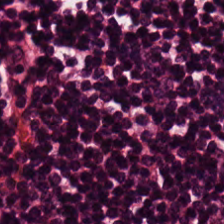H&E — lymphocytic infiltrate.
